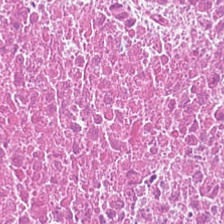224×224 px tile · H&E-stained tissue section · FFPE. Tissue — cellular debris.
